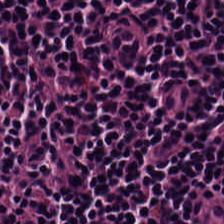Tissue = lymphocyte aggregate.
